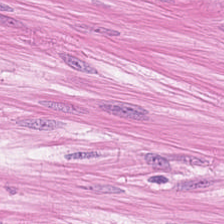H&E stain; 0.5 µm/px — Q: Identify the tissue.
A: It is smooth muscle.
